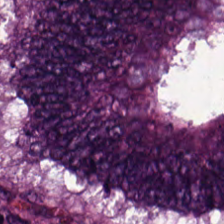Histology — tumor epithelium.
